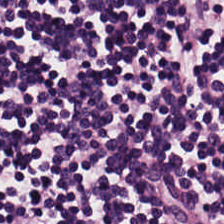Hematoxylin-and-eosin stained section. FFPE.
Q: Identify the tissue.
A: The field shows lymphocyte aggregate.
